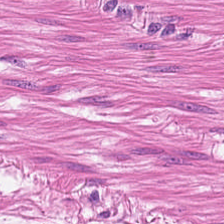H&E.
Histology — smooth-muscle tissue.
